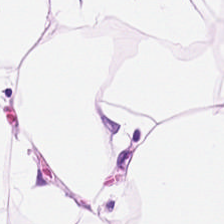224×224 px patch. H&E-stained tissue section.
Q: What does this patch show?
A: This is adipose.
